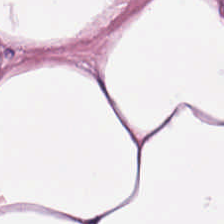Hematoxylin-and-eosin stained section.
The tissue here is adipose.
